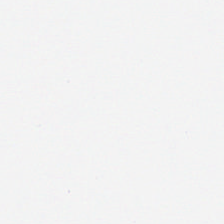H&E-stained tissue section; 224×224 px patch; brightfield microscopy.
Histology → background.
